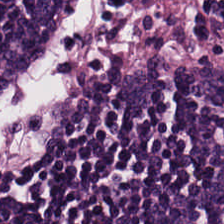H&E-stained tissue section — Showing lymphocyte aggregate.
